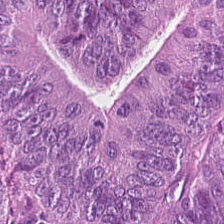Tissue class — colorectal adenocarcinoma epithelium.
